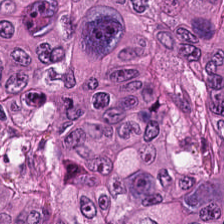Formalin-fixed paraffin-embedded section. Hematoxylin and eosin — Q: Classify this patch.
A: Malignant epithelium.
